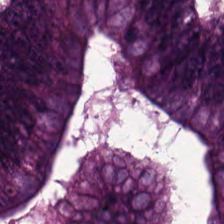Stain: hematoxylin-and-eosin stained section.
Resolution: 0.5 microns per pixel.
Tissue class: colorectal adenocarcinoma epithelium.
